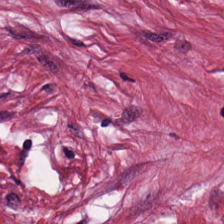Hematoxylin-and-eosin stained section. Tissue — cancer-associated stroma.
